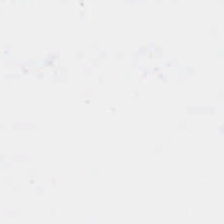H&E. 224×224 px patch. 0.5 µm/px. This patch shows background.
